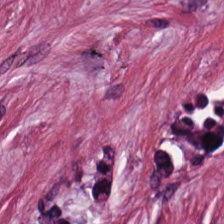Hematoxylin-and-eosin stained section. The tissue here is tumor-associated stroma.
